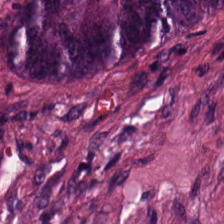Stain: hematoxylin and eosin.
Tissue: colorectal adenocarcinoma.
